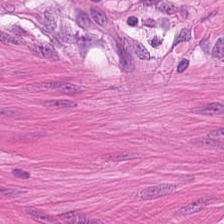H&E stain — Classification: smooth-muscle tissue.
